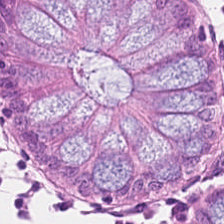Whole-slide-image patch · hematoxylin and eosin. This patch shows normal colonic mucosa.
